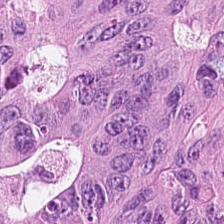H&E-stained tissue section — {"tissue_type": "tumor epithelium"}
